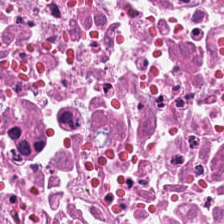Stain: H&E.
Tissue type: cellular debris.
